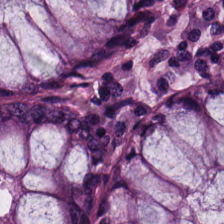The tissue class is non-neoplastic colon mucosa.
